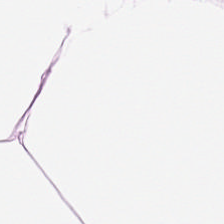This field is adipose tissue.
